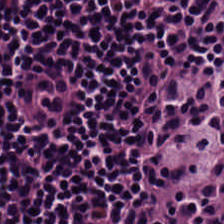Hematoxylin and eosin. The predominant tissue is lymphocytes.
